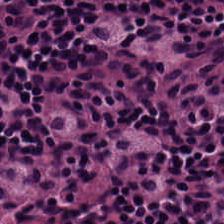Classification — lymphocyte aggregate.
